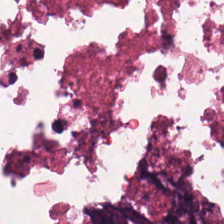Hematoxylin-and-eosin stained section — The predominant tissue is debris.
